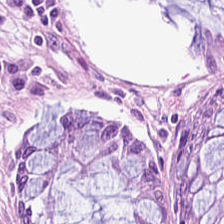Hematoxylin-and-eosin stained section — Impression — normal colon mucosa.
